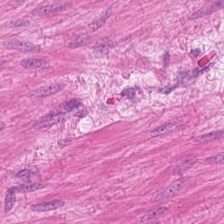Hematoxylin-and-eosin stained section; 0.5 µm/px. This field is smooth muscle.
